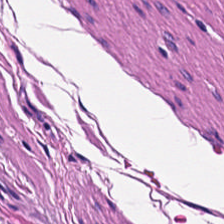224×224 pixel tile · hematoxylin and eosin — The tissue here is muscularis.
